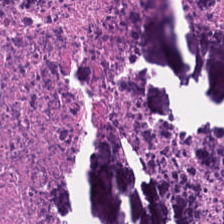H&E-stained tissue section.
Classification = cellular debris.
